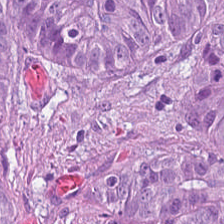H&E; 0.5 microns per pixel — The predominant tissue is colorectal adenocarcinoma.
